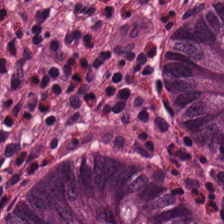H&E stain.
Predominantly normal colonic mucosa.
